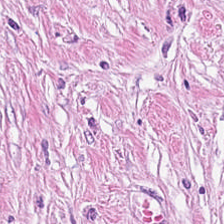H&E.
Predominantly desmoplastic stroma.
